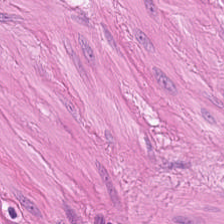H&E-stained tissue section.
Q: What is shown in this field?
A: The field shows muscularis.
